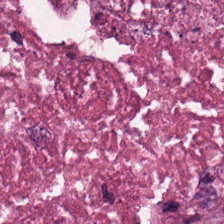Tissue — cellular debris.
